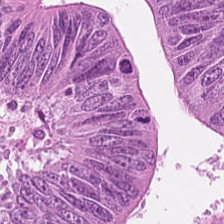H&E stain.
Tumor epithelium.
